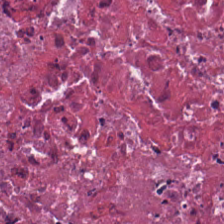0.5 microns per pixel · hematoxylin and eosin.
Tissue class = debris.
